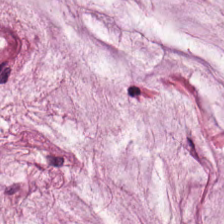Hematoxylin and eosin.
Classification = mucus.
